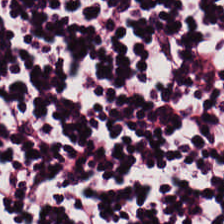224×224 pixel tile; H&E-stained tissue section.
This patch shows lymphocytes.
